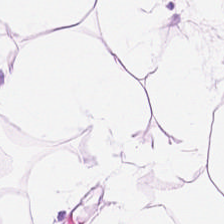Stain: H&E-stained tissue section.
Tissue class: adipose tissue.
